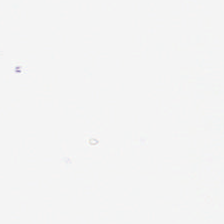Stain: H&E-stained tissue section.
Classification: no tissue.
